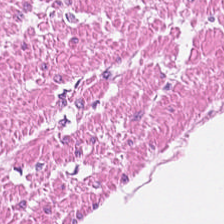Stain: hematoxylin and eosin.
Preparation: formalin-fixed paraffin-embedded section.
Tile size: 224×224 px tile.
Tissue class: smooth-muscle tissue.
